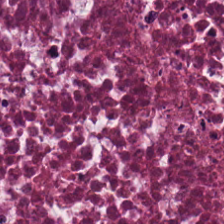Hematoxylin and eosin.
This field is debris.
